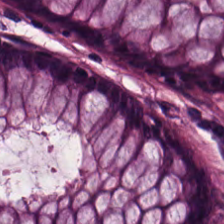H&E. This field is normal colon mucosa.
